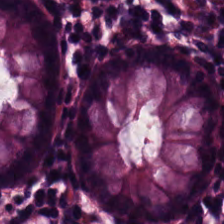H&E. Brightfield.
The classification is normal colon mucosa.
